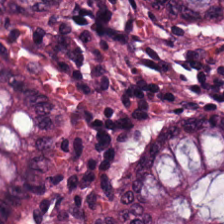Non-neoplastic colon mucosa.
